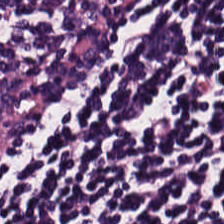H&E; FFPE tissue section; 224×224 pixel tile.
Q: What is the predominant tissue type?
A: It is lymphocytic infiltrate.
